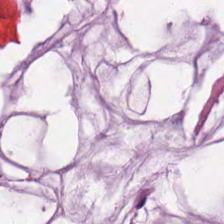Hematoxylin and eosin; brightfield microscopy — Tissue type — mucin.
